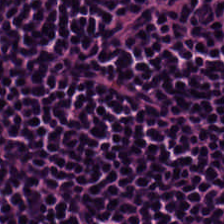Hematoxylin-and-eosin stained section — {"tissue_type": "lymphocytes"}
